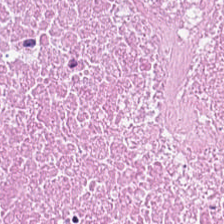0.5 µm per pixel; H&E stain. Q: What tissue is shown?
A: It is cellular debris.
